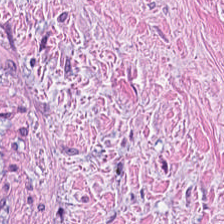Brightfield · hematoxylin and eosin. Q: What does this patch show?
A: Cancer-associated stroma.
